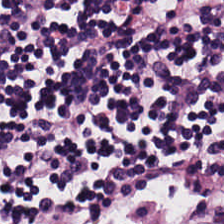FFPE; H&E-stained tissue section; 224×224 px tile.
Q: What tissue type is shown here?
A: It is lymphocytic infiltrate.
